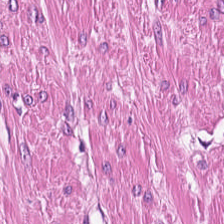Hematoxylin and eosin.
The predominant tissue is smooth muscle.
